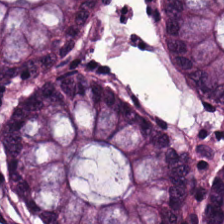H&E — normal colon mucosa.
